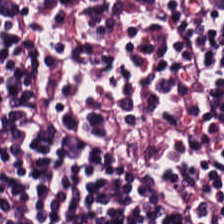Whole-slide-image patch · H&E stain · FFPE tissue section.
Showing lymphocyte aggregate.
